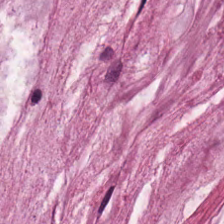Stain: H&E.
Tile size: 224×224 pixel tile.
Tissue type: mucus.
